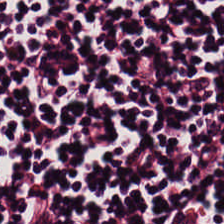FFPE · hematoxylin-and-eosin stained section.
Tissue type: lymphoid infiltrate.
